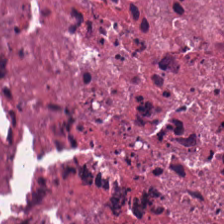The tissue here is debris.
